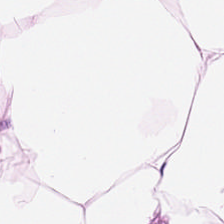Hematoxylin and eosin.
Classification — adipose tissue.
